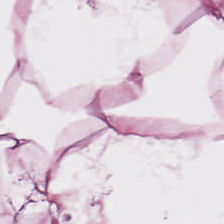Stain: hematoxylin and eosin.
Resolution: 0.5 µm/px.
Tile size: 224×224 px patch.
Tissue type: adipose tissue.
